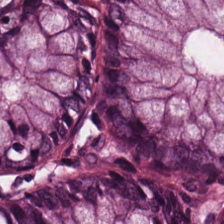Stain: hematoxylin and eosin.
Classification: normal colonic mucosa.
